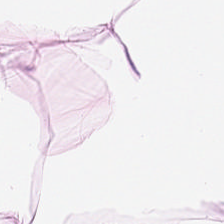0.5 µm per pixel · 224×224 px patch · hematoxylin and eosin. Predominantly adipose.
